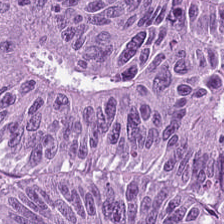H&E-stained tissue section. FFPE — Histology → tumor epithelium.
